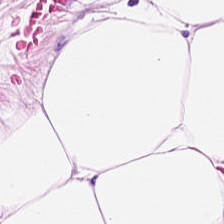0.5 µm per pixel; hematoxylin and eosin — This field is adipose tissue.
